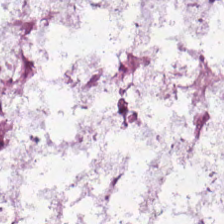Formalin-fixed paraffin-embedded section. Brightfield microscopy. Hematoxylin and eosin.
The tissue type is mucus.
